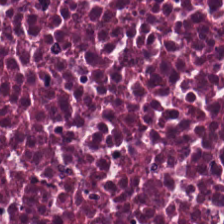224×224 px tile; hematoxylin-and-eosin stained section — This field is cellular debris.
